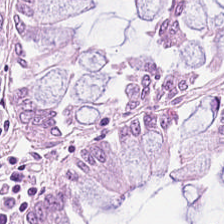Classification = non-neoplastic colon mucosa.
